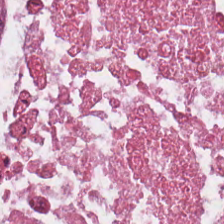H&E-stained tissue section.
Histology → colorectal adenocarcinoma.
